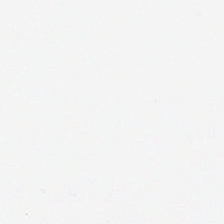The field content is no tissue.
